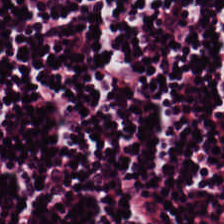H&E. Lymphocytes.
